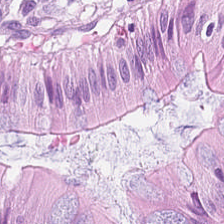H&E stain — Histology → normal colon mucosa.
